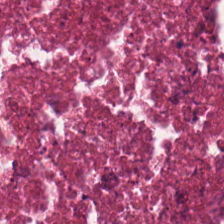H&E-stained tissue section. The predominant tissue is cellular debris.
